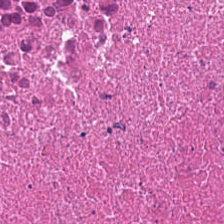Hematoxylin-and-eosin stained section.
Impression — necrotic debris.
